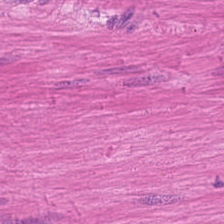Whole-slide-image patch. H&E stain.
Smooth muscle.
